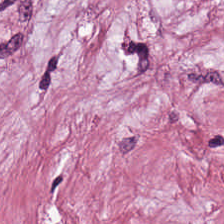Q: What is the predominant tissue type?
A: The field shows desmoplastic stroma.
